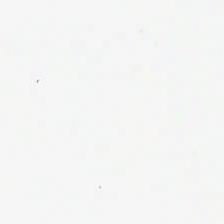224×224 px tile · H&E-stained tissue section.
The field content is background.
